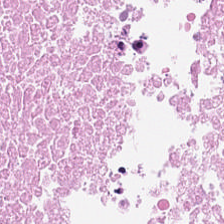Showing necrotic debris.
